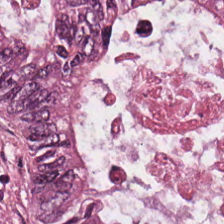H&E patch showing colorectal adenocarcinoma epithelium.
